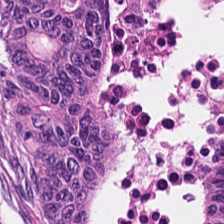Stain: H&E stain.
Tile size: 224×224 px patch.
Preparation: formalin-fixed paraffin-embedded section.
Classification: adenocarcinoma.
